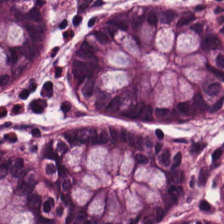H&E stain — This field is benign colonic mucosa.
